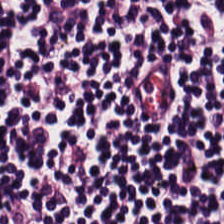Tissue class — lymphoid infiltrate.
